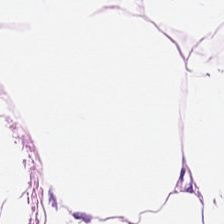Q: What does this patch show?
A: This is fat tissue.
